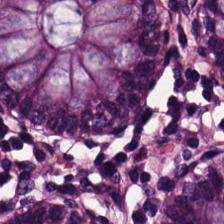FFPE tissue section · hematoxylin-and-eosin stained section. This patch shows non-neoplastic colon mucosa.
